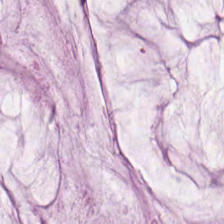Stain: H&E.
Tissue class: mucin.
